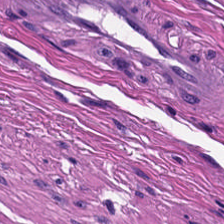H&E — Finding → muscularis.
